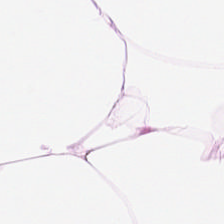{"tissue_type": "adipose"}
